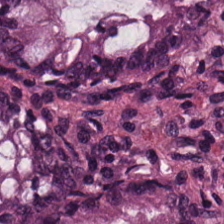H&E-stained tissue section · 0.5 microns per pixel · 224×224 pixel tile. Tissue: normal colon mucosa.
